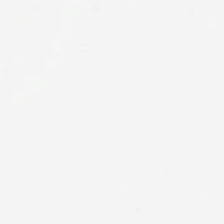Stain: hematoxylin and eosin.
Preparation: FFPE tissue section.
Content: no tissue.
